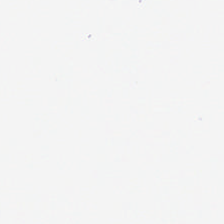WSI patch · hematoxylin and eosin.
Classification = background (no tissue).
